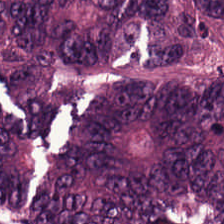H&E-stained tissue section · 224×224 px patch · formalin-fixed paraffin-embedded section. Q: What is shown here?
A: Adenocarcinoma.
